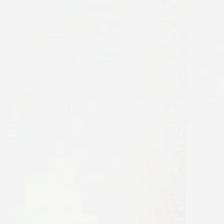Hematoxylin and eosin — {"content": "no tissue"}
